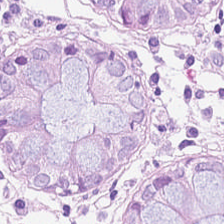H&E-stained tissue section; WSI patch; 224×224 pixel tile — Tissue class — normal colonic mucosa.
